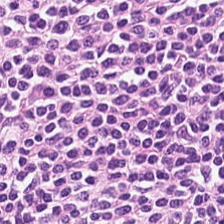H&E. This field is lymphoid infiltrate.
